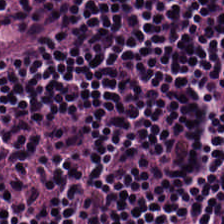H&E stain.
Impression → lymphoid infiltrate.
